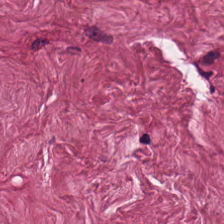H&E — This patch shows desmoplastic stroma.
